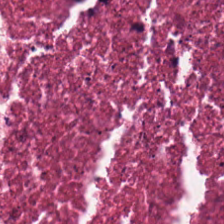Finding → cellular debris.
